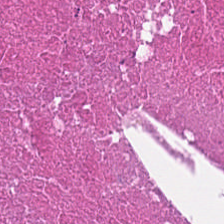Stain: hematoxylin and eosin.
Tile size: 224×224 px patch.
Preparation: FFPE tissue section.
Tissue type: necrotic debris.
